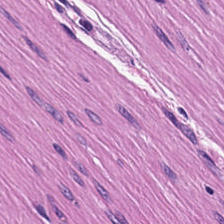Tissue type — muscularis.
